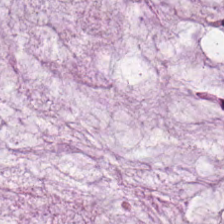Hematoxylin and eosin; 0.5 µm per pixel. Predominantly mucin.
